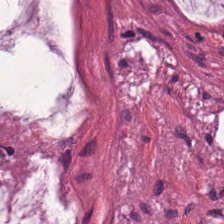H&E — Tissue = mucus.
